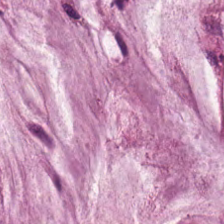FFPE · hematoxylin and eosin. Predominant tissue — mucus.
